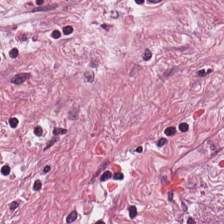Finding → tumor stroma.
